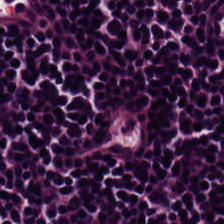H&E-stained tissue section — Lymphocytes.
